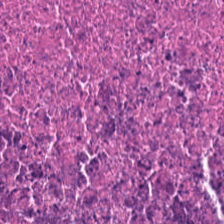Hematoxylin-and-eosin stained section — The tissue here is cellular debris.
